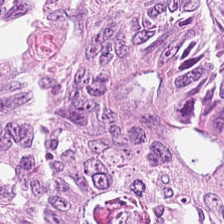20× equivalent magnification; H&E — Q: What does this patch show?
A: Colorectal adenocarcinoma epithelium.
